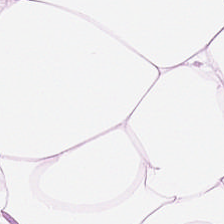H&E. This field is fat tissue.
